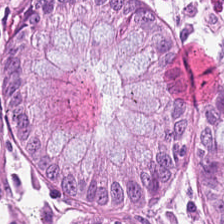Stain: hematoxylin and eosin.
Resolution: 20× equivalent magnification.
Tile size: 224×224 px tile.
Classification: normal colonic mucosa.
